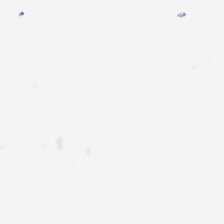0.5 µm/px. H&E-stained tissue section.
Classification: background (no tissue).
